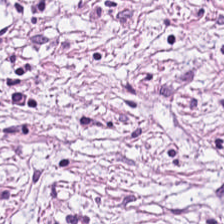Hematoxylin and eosin. This patch shows desmoplastic stroma.
